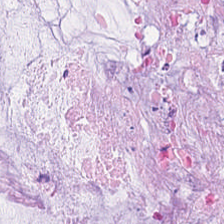Tissue type = mucus.
